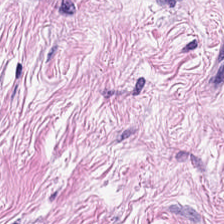Hematoxylin-and-eosin stained section. Predominantly tumor-associated stroma.
